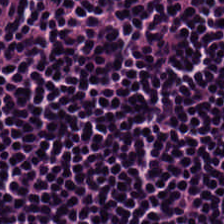H&E-stained tissue section. Classification = lymphocyte aggregate.
